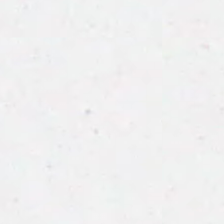Stain: hematoxylin and eosin.
Tile size: 224×224 pixel tile.
Content: no tissue.
